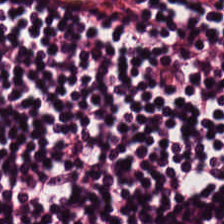224×224 pixel tile · H&E · FFPE. Tissue — lymphocytes.
